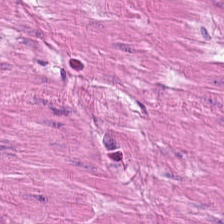H&E · FFPE. This field is smooth muscle.
